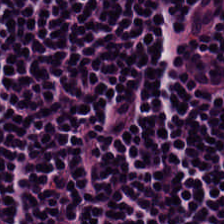H&E — Q: What tissue type is shown here?
A: It is lymphocytes.
